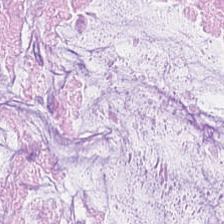Hematoxylin-and-eosin section: extracellular mucin.
